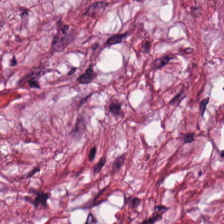Hematoxylin-and-eosin section: tumor stroma.
